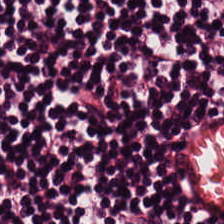Impression → lymphocyte aggregate.
